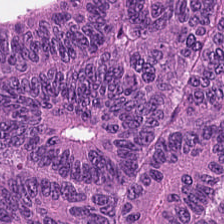Hematoxylin and eosin.
Classification: colorectal adenocarcinoma.
